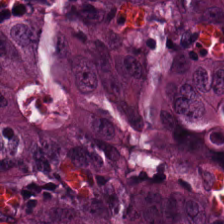Stain: H&E.
Predominant tissue: malignant epithelium.
